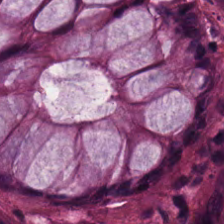{"tissue_type": "non-neoplastic colon mucosa"}
